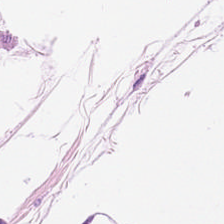H&E stain.
Q: What is shown here?
A: Adipose.
